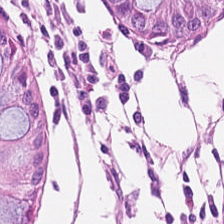FFPE. Hematoxylin and eosin. 224×224 px tile — Q: What tissue type is shown here?
A: This is normal colonic mucosa.
